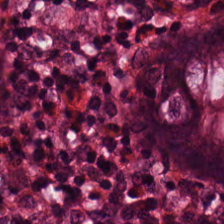Stain: hematoxylin and eosin.
Tile size: 224×224 pixel tile.
Tissue class: benign colonic mucosa.
